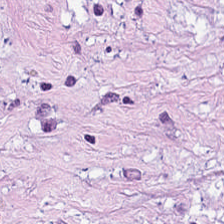H&E — Predominant tissue: tumor-associated stroma.
